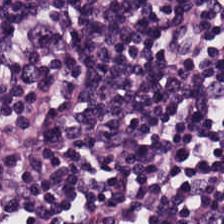Hematoxylin and eosin.
Finding → lymphocytic infiltrate.
